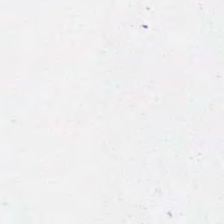H&E stain. Brightfield. Histology → no tissue.
